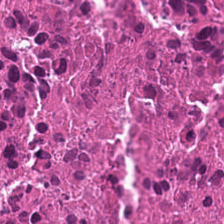The predominant tissue is cellular debris.
